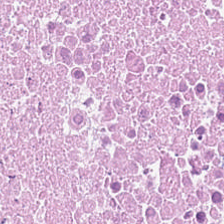Impression → necrotic debris.
